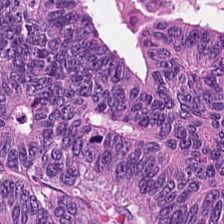Hematoxylin and eosin; 0.5 microns per pixel — This field is malignant epithelium.
